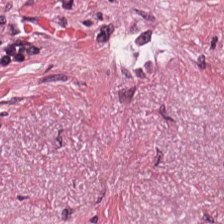Hematoxylin-and-eosin stained section. 224×224 px patch. Q: What type of tissue is this?
A: It is desmoplastic stroma.
